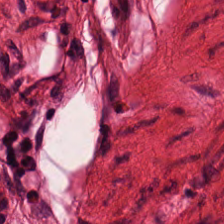H&E-stained tissue section showing muscularis.
